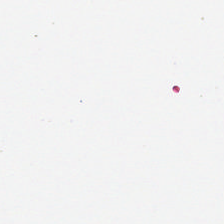Field content — background.
